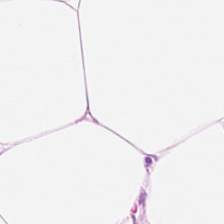Histology → adipocytes.
